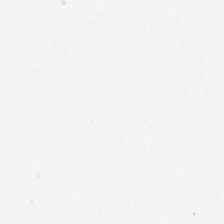Background — no tissue in this field.
